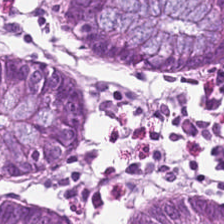Hematoxylin-and-eosin stained section — Tissue type: normal colon mucosa.
